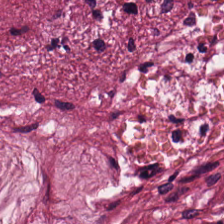H&E-stained tissue section; 224×224 px patch; formalin-fixed paraffin-embedded section. Finding → cancer-associated stroma.
